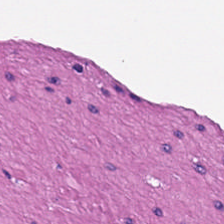H&E stain; brightfield microscopy.
Predominantly smooth-muscle tissue.
